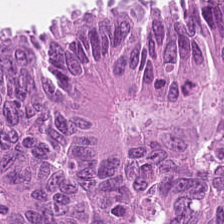Q: What type of tissue is this?
A: It is adenocarcinoma.
